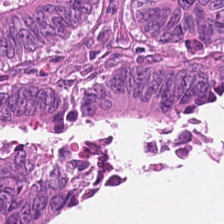Brightfield. H&E. The classification is malignant epithelium.
